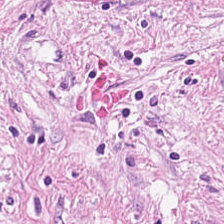20× equivalent magnification; H&E — Predominantly desmoplastic stroma.
